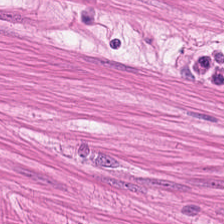Hematoxylin-and-eosin stained section.
Smooth muscle.
